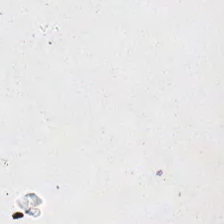Hematoxylin-and-eosin stained section; 0.5 µm per pixel; WSI patch. No tissue present; background only.
